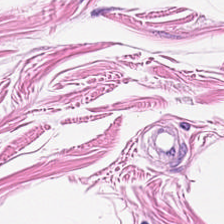The classification is smooth-muscle tissue.
